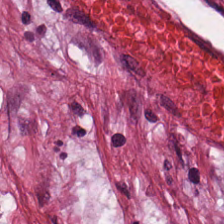H&E; brightfield microscopy — This patch shows tumor stroma.
